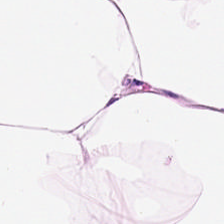H&E-stained tissue section. 224×224 px patch — Adipose tissue.
